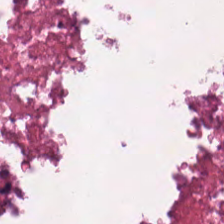Hematoxylin-and-eosin stained section. Predominantly cellular debris.
